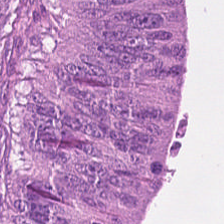This patch shows tumor epithelium.
